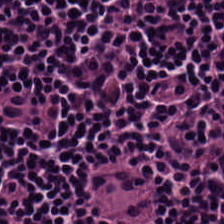Hematoxylin-and-eosin stained section. Q: What type of tissue is this?
A: This is lymphocytes.
